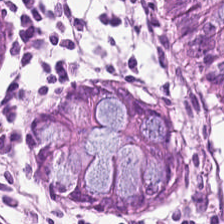Tissue: normal colon mucosa.
